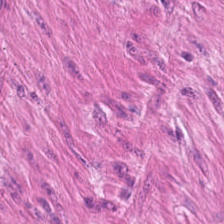Stain: hematoxylin and eosin.
Predominant tissue: smooth muscle.
